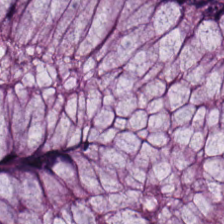Stain: hematoxylin-and-eosin stained section.
Classification: non-neoplastic colon mucosa.
